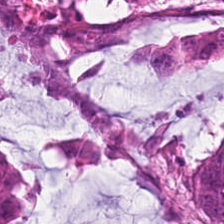H&E-stained tissue section. The tissue class is tumor epithelium.
